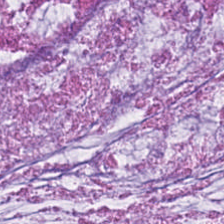H&E stain. This field is mucin.
